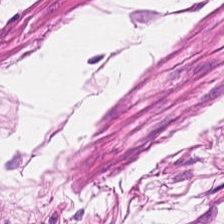H&E.
{"tissue_type": "muscularis"}
